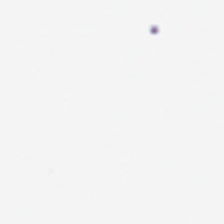224×224 px tile; H&E stain; 0.5 µm/px. This patch shows no tissue.
